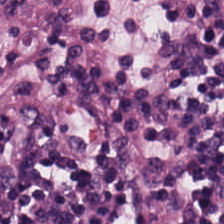Stain: hematoxylin-and-eosin stained section.
Classification: lymphocytic infiltrate.
